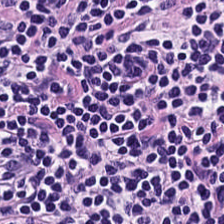Formalin-fixed paraffin-embedded section; H&E stain — The tissue here is lymphoid infiltrate.
